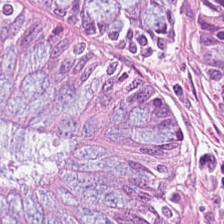Hematoxylin and eosin · FFPE tissue section. The predominant tissue is benign colonic mucosa.
